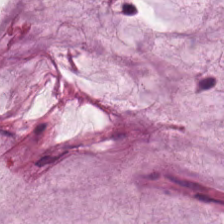Hematoxylin-and-eosin stained section · WSI patch — Impression — mucus.
